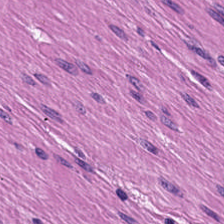H&E; 224×224 pixel tile — Tissue: muscularis.
